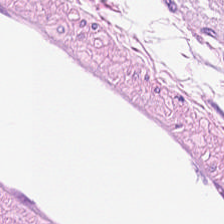Hematoxylin-and-eosin stained section · 224×224 px tile.
Histology → fat tissue.
